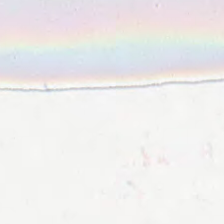H&E-stained tissue section — Classification — background (no tissue).
